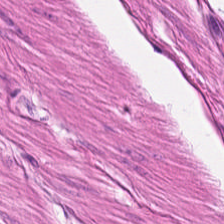Hematoxylin and eosin. Formalin-fixed paraffin-embedded section. Histology — muscularis.
